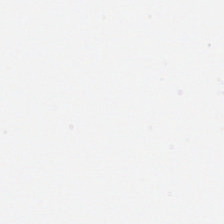Impression — background (no tissue).
